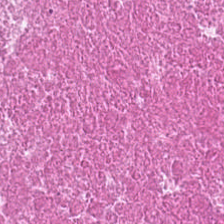{"tissue_type": "necrotic debris"}
